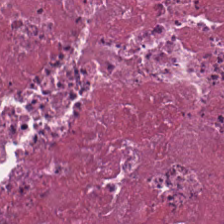H&E.
Cellular debris.
